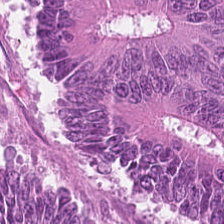Whole-slide-image patch; H&E; 0.5 µm/px.
This field is tumor epithelium.
